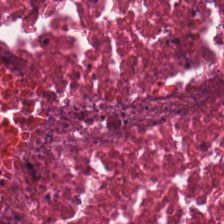The tissue here is debris.
